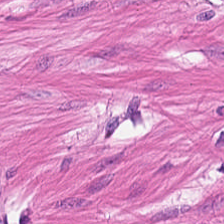Hematoxylin-and-eosin section: smooth-muscle tissue.
